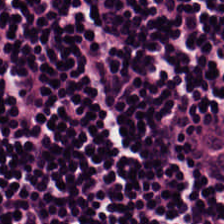Stain: H&E stain.
Tissue class: lymphocytic infiltrate.
